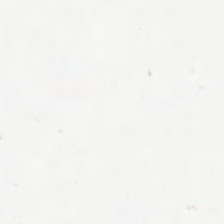FFPE tissue section. H&E.
Background — no tissue in this field.
